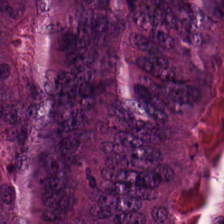Hematoxylin-and-eosin stained section. WSI patch.
This patch shows colorectal adenocarcinoma epithelium.
